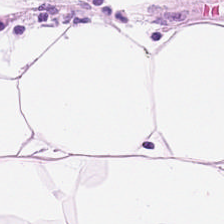Stain: H&E stain.
Preparation: FFPE tissue section.
Tile size: 224×224 px tile.
Classification: adipose.
